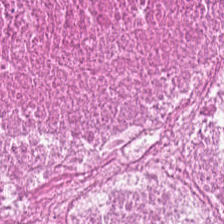H&E · 224×224 pixel tile. Finding → necrotic debris.
